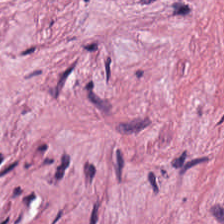Formalin-fixed paraffin-embedded section; H&E — This patch shows tumor stroma.
